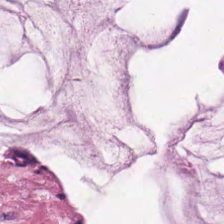The classification is extracellular mucin.
